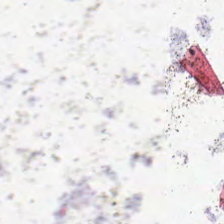Hematoxylin-and-eosin stained section. Field content = background (no tissue).
